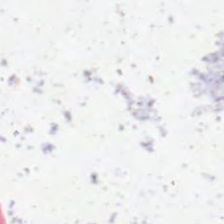Empty field — no tissue.
